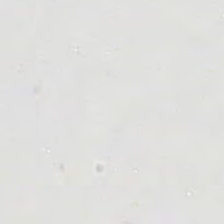H&E-stained tissue section.
Q: What is shown here?
A: It is background.
